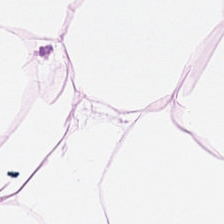Hematoxylin and eosin. 0.5 µm/px. Brightfield microscopy — Q: Identify the tissue.
A: It is adipose.
